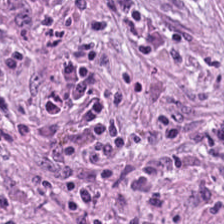H&E-stained tissue section — The predominant tissue is desmoplastic stroma.
